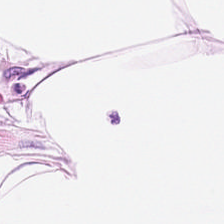Hematoxylin and eosin; whole-slide-image patch.
Tissue class: adipocytes.
